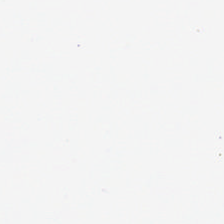Q: What does this patch show?
A: It is background (no tissue).
